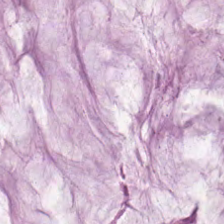Hematoxylin-and-eosin stained section — The tissue here is mucus.
